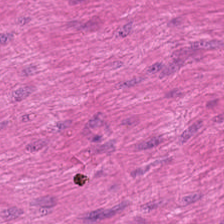Hematoxylin-and-eosin section: muscularis.
